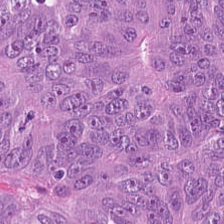Hematoxylin and eosin.
The tissue here is colorectal adenocarcinoma.
